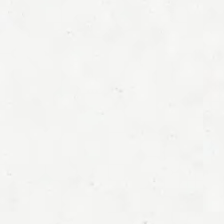Hematoxylin-and-eosin stained section. WSI patch. 224×224 px patch.
Field content: no tissue.
